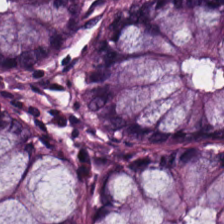Hematoxylin-and-eosin stained section.
The tissue class is non-neoplastic colon mucosa.
